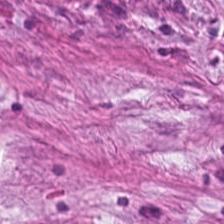0.5 microns per pixel. 224×224 px patch. H&E stain — Impression — tumor-associated stroma.
